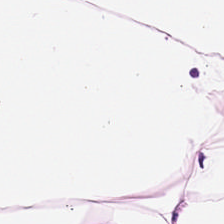H&E · 224×224 px patch · brightfield microscopy — Impression → adipose tissue.
